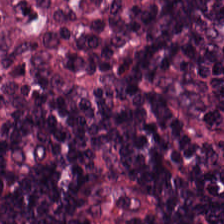H&E. Q: What tissue type is shown here?
A: This is lymphocytes.
